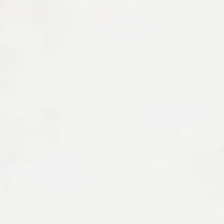Content = empty background.
